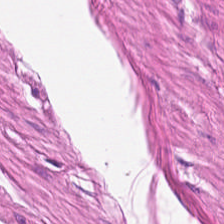H&E-stained tissue section · 20× equivalent magnification — Q: What does this patch show?
A: This is smooth-muscle tissue.
